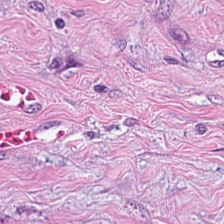Hematoxylin-and-eosin stained section · 224×224 pixel tile · brightfield.
Showing tumor stroma.
